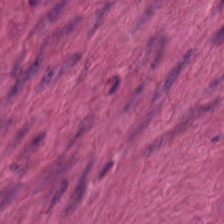H&E.
This patch shows smooth muscle.
